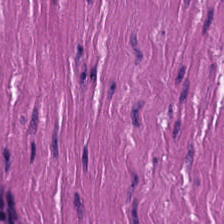224×224 px tile · H&E — Predominantly smooth muscle.
